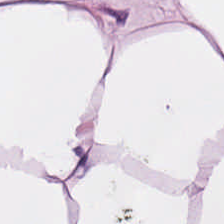Predominantly fat tissue.
